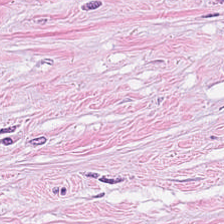Stain: H&E-stained tissue section.
Tissue type: tumor-associated stroma.
